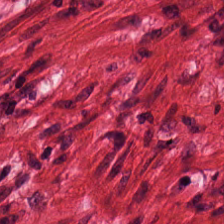Tissue = smooth muscle.
